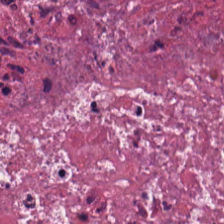H&E stain; brightfield — Tissue class — cellular debris.
